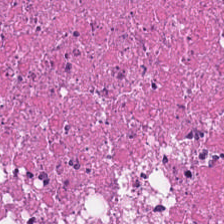Hematoxylin and eosin; 224×224 px tile; FFPE.
Tissue class — debris.
